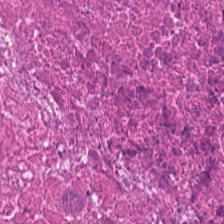Formalin-fixed paraffin-embedded section · WSI patch · H&E stain — The predominant tissue is debris.
